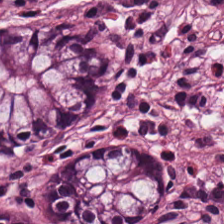Impression → normal colonic mucosa.
